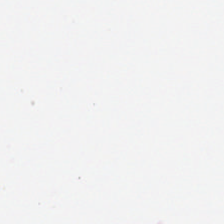H&E-stained tissue section.
Content: no tissue.
